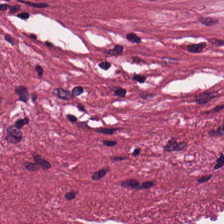Tissue type — tumor stroma.
